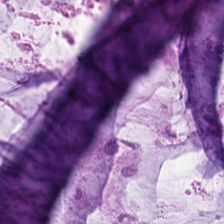H&E stain · 0.5 µm/px — Finding → mucin.
